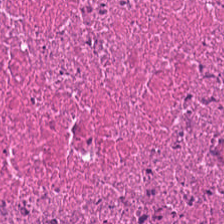H&E stain. The predominant tissue is debris.
